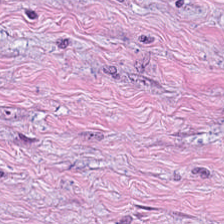H&E stain. 224×224 px tile. Formalin-fixed paraffin-embedded section — Q: What does this patch show?
A: The field shows tumor-associated stroma.
